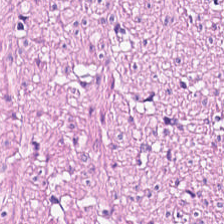Tissue = smooth-muscle tissue.
